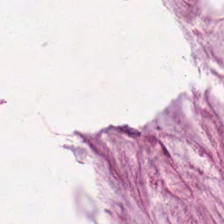H&E stain.
The predominant tissue is mucin.
